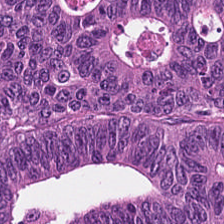H&E stain. Histology → colorectal adenocarcinoma epithelium.
